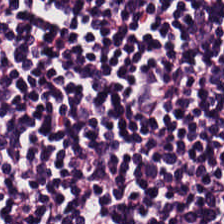0.5 µm/px; H&E — Lymphoid infiltrate.
